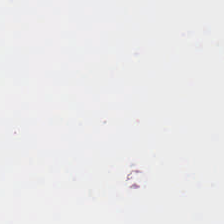Stain: hematoxylin-and-eosin stained section.
Acquisition: WSI patch.
Field content: empty background.
